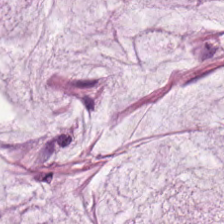Stain: H&E stain.
Classification: mucus.
